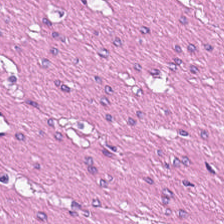{"tissue_type": "muscularis"}
